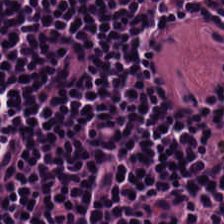0.5 microns per pixel · H&E stain · FFPE tissue section.
Histology → lymphocytic infiltrate.
